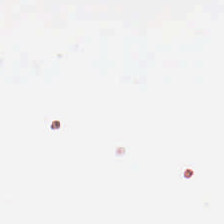Stain: hematoxylin and eosin.
Classification: no tissue.
